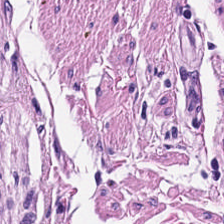H&E · 0.5 µm per pixel · 224×224 px tile.
The classification is smooth muscle.
